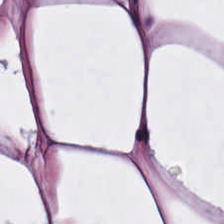H&E stain. Showing adipocytes.
